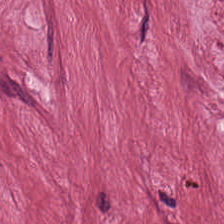Showing cancer-associated stroma.
